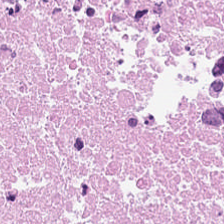Hematoxylin and eosin. 224×224 px tile. Brightfield microscopy. Q: What is shown in this field?
A: It is debris.
